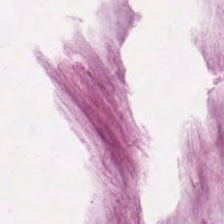0.5 µm per pixel; 224×224 px tile; H&E stain. Extracellular mucin.
